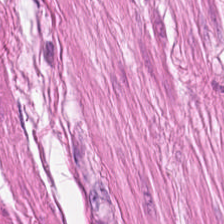Hematoxylin-and-eosin stained section. 0.5 microns per pixel. WSI patch. The tissue here is muscularis.
